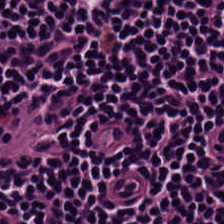H&E-stained tissue section — Tissue = lymphocytes.
